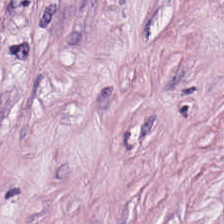Whole-slide-image patch. Formalin-fixed paraffin-embedded section. Hematoxylin-and-eosin stained section.
Q: What is shown here?
A: The field shows desmoplastic stroma.
